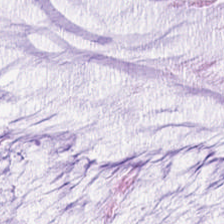224×224 pixel tile; H&E. Predominant tissue — mucin.
